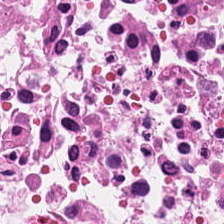20× equivalent magnification; H&E stain — Q: What is shown in this field?
A: The field shows cellular debris.
